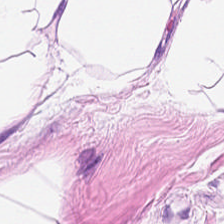H&E stain; FFPE tissue section.
Finding → adipose.
